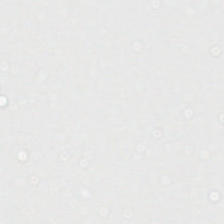WSI patch · FFPE tissue section · H&E-stained tissue section — This field is background (no tissue).
